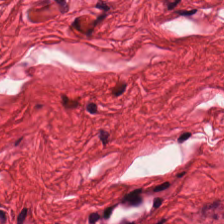Hematoxylin-and-eosin stained section.
Tissue class = smooth-muscle tissue.
